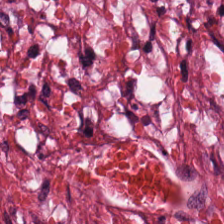Brightfield microscopy; 224×224 px tile; H&E — Predominantly tumor-associated stroma.
